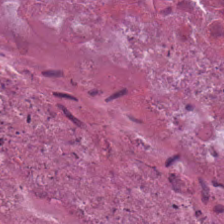224×224 px tile. H&E-stained tissue section.
Histology → debris.
